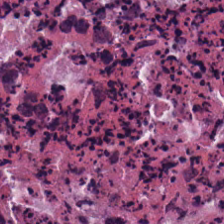224×224 px tile; H&E.
Predominant tissue = necrotic debris.
